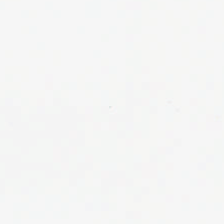H&E; 0.5 µm per pixel. Q: What does this patch show?
A: This is background.
